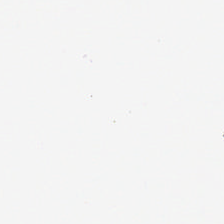Q: What is shown in this field?
A: The field shows empty background.
